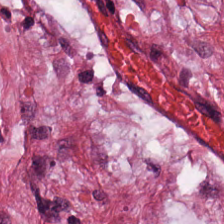Hematoxylin and eosin. The tissue here is cancer-associated stroma.
